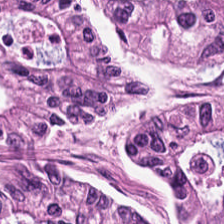Tissue type: adenocarcinoma.
